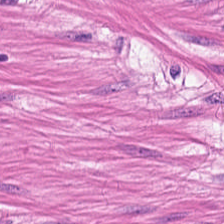Smooth muscle.
